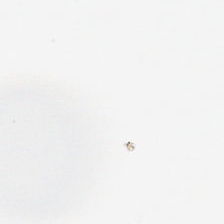The classification is empty background.
